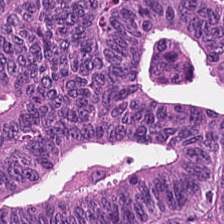Tissue class — adenocarcinoma.
